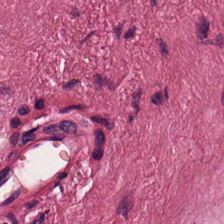Hematoxylin and eosin. Classification: cancer-associated stroma.
